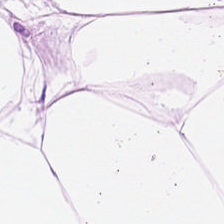Hematoxylin-and-eosin stained section; FFPE tissue section. Finding → adipose.
